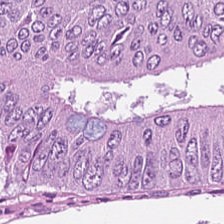0.5 microns per pixel. H&E stain — Classification = adenocarcinoma.
